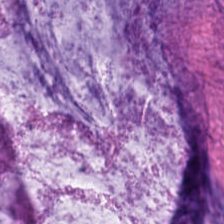Hematoxylin and eosin.
Tissue class — extracellular mucin.
